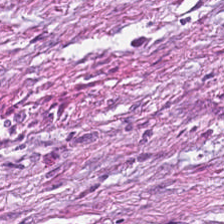H&E.
Q: What type of tissue is this?
A: The field shows desmoplastic stroma.
